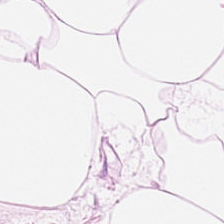Stain: H&E-stained tissue section.
Acquisition: brightfield.
Resolution: 0.5 µm per pixel.
Tissue class: adipocytes.
